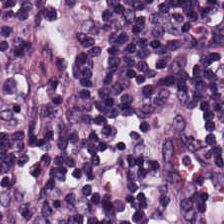Hematoxylin and eosin; 224×224 pixel tile. Q: Identify the tissue.
A: It is lymphocytic infiltrate.
